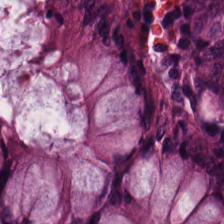H&E-stained tissue section. 224×224 px patch.
The tissue here is normal colon mucosa.
